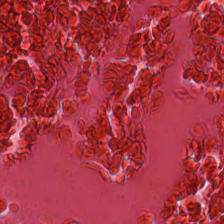Formalin-fixed paraffin-embedded section · 224×224 px patch · H&E — Necrotic debris.
